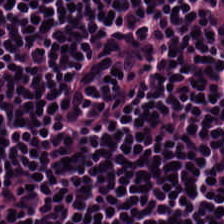Hematoxylin-and-eosin stained section. Formalin-fixed paraffin-embedded section. Brightfield — Predominant tissue — lymphocytic infiltrate.
